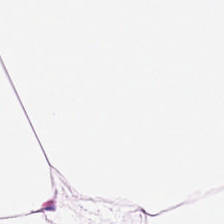H&E-stained tissue section. The tissue class is adipose.
